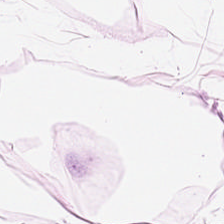H&E-stained tissue section · FFPE · 224×224 pixel tile.
{"tissue_type": "fat tissue"}
